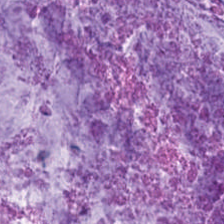Brightfield microscopy; H&E stain; 224×224 px patch — The tissue here is mucin.
